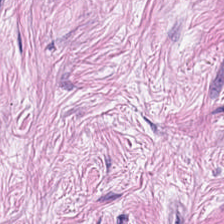Brightfield; hematoxylin-and-eosin stained section. Q: Identify the tissue.
A: The field shows desmoplastic stroma.
